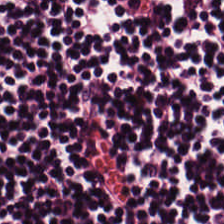Hematoxylin and eosin. The tissue type is lymphoid infiltrate.
